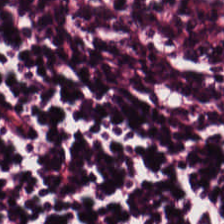H&E stain; FFPE — Predominantly lymphocytes.
